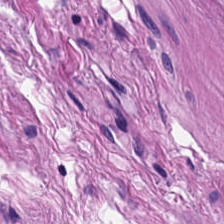Predominant tissue: smooth-muscle tissue.
